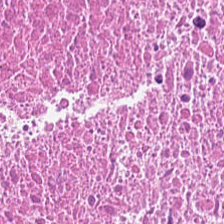Hematoxylin-and-eosin stained section · whole-slide-image patch · formalin-fixed paraffin-embedded section.
Histology → necrotic debris.
